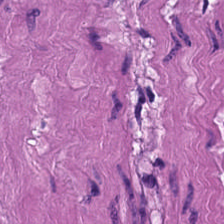Hematoxylin-and-eosin stained section. Muscularis.
